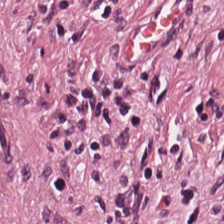Q: What is shown in this field?
A: Tumor-associated stroma.
